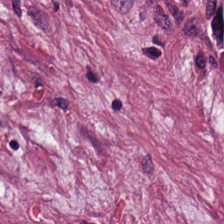Q: What is shown here?
A: Tumor stroma.
